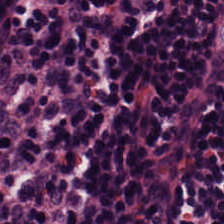Predominantly lymphocytes.
